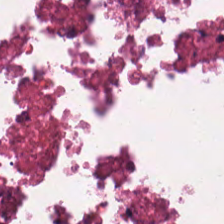Q: What type of tissue is this?
A: The field shows necrotic debris.
